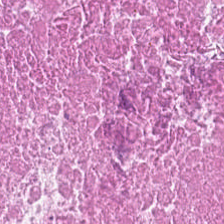Brightfield · H&E-stained tissue section.
The predominant tissue is debris.
